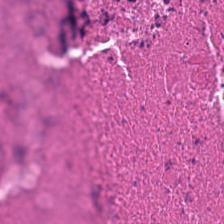Hematoxylin-and-eosin stained section.
Necrotic debris.
